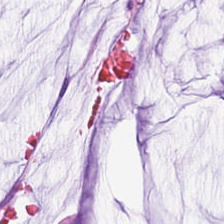Hematoxylin-and-eosin stained section; 0.5 µm/px. Q: Identify the tissue.
A: The field shows mucus.
